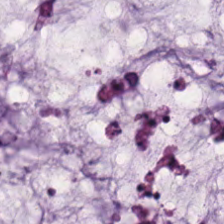H&E; WSI patch.
The tissue class is mucin.
